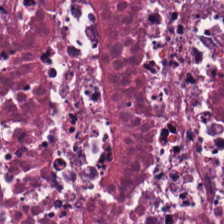H&E-stained tissue section. Tissue class: cellular debris.
